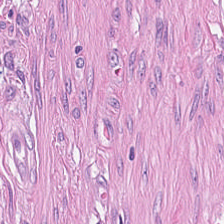Histology — tumor-associated stroma.
